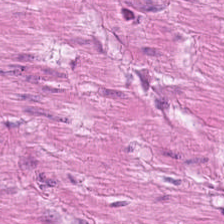Hematoxylin-and-eosin stained section — This field is muscularis.
